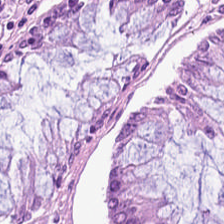Hematoxylin and eosin.
Benign colonic mucosa.
